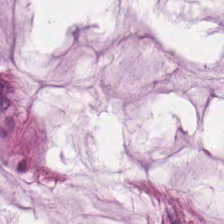H&E-stained tissue section showing mucin.
